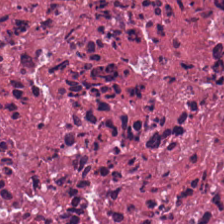H&E stain.
Showing cellular debris.
